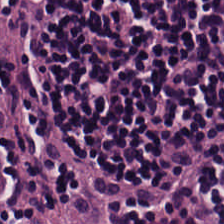H&E stain. 0.5 µm per pixel — Q: What is shown here?
A: The field shows lymphoid infiltrate.
